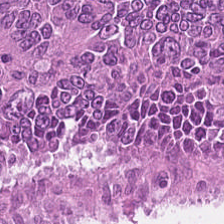Q: What is shown here?
A: Adenocarcinoma.
